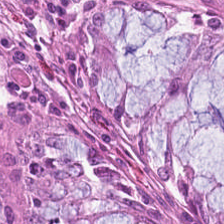The predominant tissue is normal colonic mucosa.
